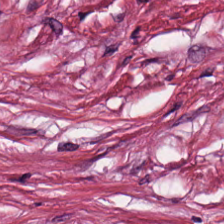H&E stain.
The tissue here is tumor-associated stroma.
